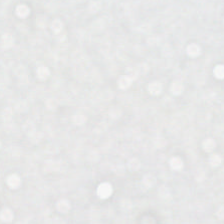Field content: background.
